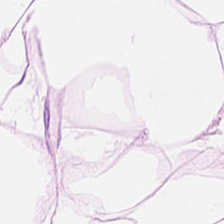Impression — adipose.
